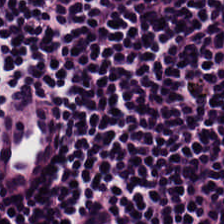Brightfield microscopy. Hematoxylin and eosin. This field is lymphocytic infiltrate.
